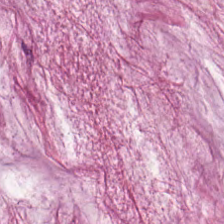Stain: hematoxylin and eosin.
Tissue: mucin.
